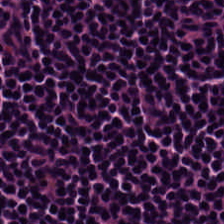Stain: hematoxylin-and-eosin stained section.
Predominant tissue: lymphoid infiltrate.
